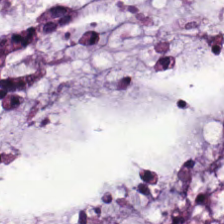This patch shows extracellular mucin.
